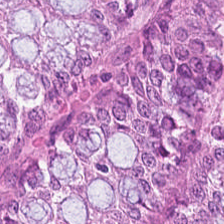0.5 microns per pixel; whole-slide-image patch; hematoxylin-and-eosin stained section. The tissue here is normal colon mucosa.
